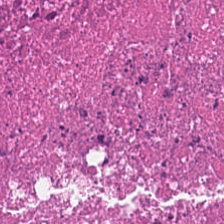H&E — Q: What type of tissue is this?
A: Debris.
